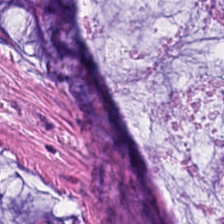Brightfield; 224×224 pixel tile; H&E-stained tissue section.
Q: What type of tissue is this?
A: Mucin.
